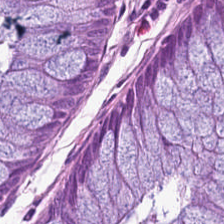224×224 px patch; hematoxylin and eosin.
Q: What type of tissue is this?
A: It is non-neoplastic colon mucosa.
